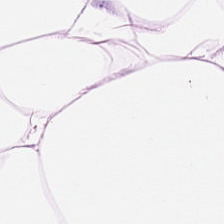Stain: H&E-stained tissue section.
Tissue type: fat tissue.
